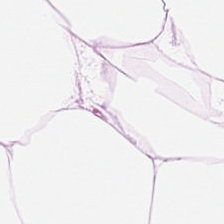Formalin-fixed paraffin-embedded section · 20× equivalent magnification · H&E-stained tissue section — Q: What is shown in this field?
A: The field shows adipose tissue.
